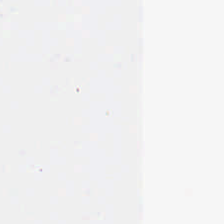Q: Classify this patch.
A: This is background (no tissue).
